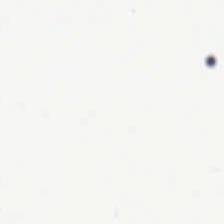0.5 microns per pixel; hematoxylin-and-eosin stained section.
{"content": "no tissue"}
